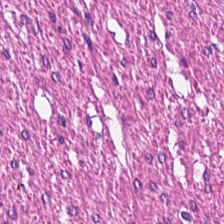FFPE; whole-slide-image patch; H&E stain — Muscularis.
